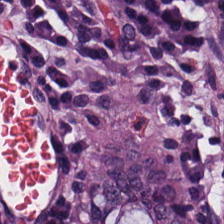{"tissue_type": "normal colon mucosa"}
